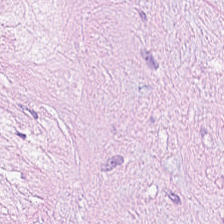H&E stain; 224×224 pixel tile. Q: Identify the tissue.
A: This is cancer-associated stroma.
